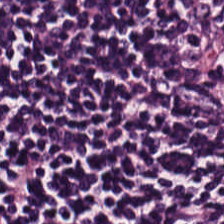H&E-stained section; the field shows lymphocytic infiltrate.
